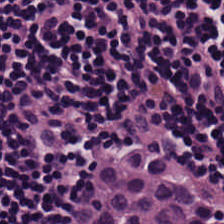20× equivalent magnification · hematoxylin and eosin.
Histology → lymphocyte aggregate.
